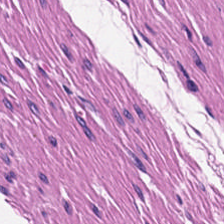Hematoxylin and eosin.
Classification — smooth muscle.
